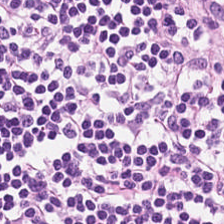Classification = lymphocytes.
